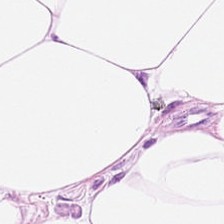Q: What does this patch show?
A: This is fat tissue.
